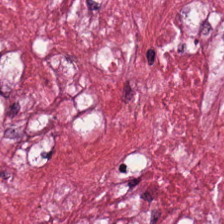Predominant tissue = tumor stroma.
